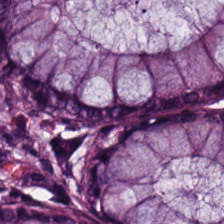Stain: H&E stain.
Acquisition: WSI patch.
Classification: normal colon mucosa.
